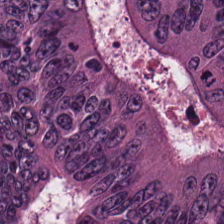{"tissue_type": "colorectal adenocarcinoma"}
